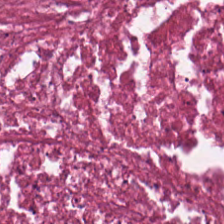H&E-stained tissue section · brightfield microscopy — Classification = cellular debris.
